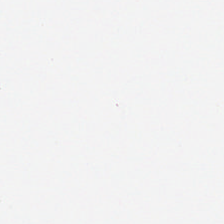0.5 µm/px; hematoxylin and eosin. This field is background (no tissue).
